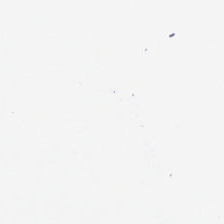WSI patch. H&E stain.
No tissue present; background only.
